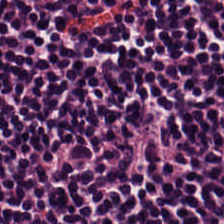H&E patch showing lymphoid infiltrate.
